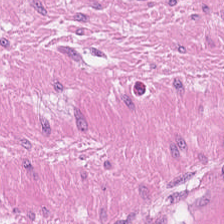H&E-stained tissue section.
This field is smooth muscle.
